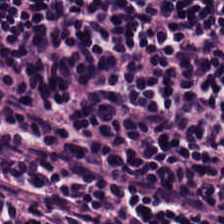224×224 px tile. H&E-stained tissue section. The tissue here is lymphocytes.
